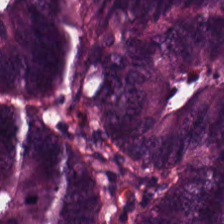H&E stain; brightfield — Tissue class — colorectal adenocarcinoma epithelium.
